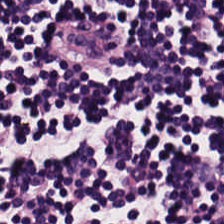H&E stain — Q: What tissue is shown?
A: Lymphocytic infiltrate.
